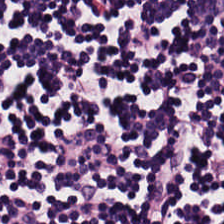H&E-stained tissue section · 0.5 µm/px — Tissue = lymphocyte aggregate.
